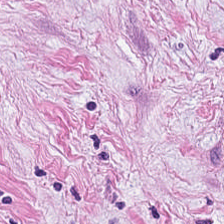H&E-stained tissue section showing cancer-associated stroma.
